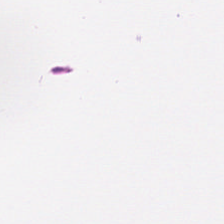Hematoxylin-and-eosin stained section — Muscularis.
